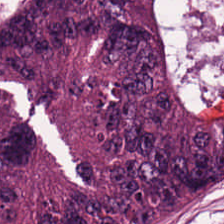0.5 µm per pixel. H&E. WSI patch.
Q: What is the predominant tissue type?
A: Colorectal adenocarcinoma epithelium.
